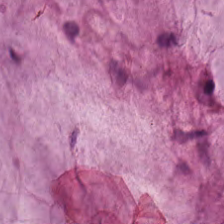H&E-stained tissue section. Formalin-fixed paraffin-embedded section.
{"tissue_type": "mucin"}
